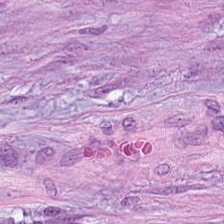{"tissue_type": "cancer-associated stroma"}
